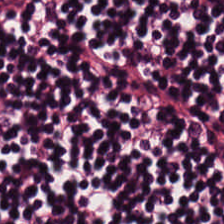Histology — lymphoid infiltrate.
